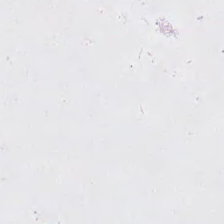Stain: H&E stain.
Resolution: 0.5 microns per pixel.
Classification: background.
